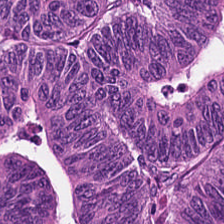Stain: hematoxylin and eosin.
Tile size: 224×224 px tile.
Tissue: colorectal adenocarcinoma.
